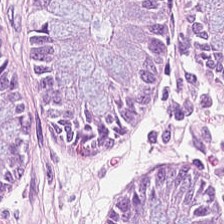FFPE tissue section · hematoxylin and eosin — Tissue: non-neoplastic colon mucosa.
